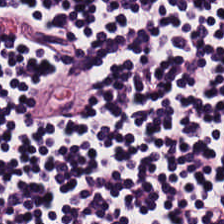Hematoxylin-and-eosin stained section. Histology — lymphocyte aggregate.
